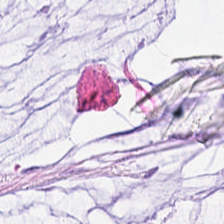Hematoxylin and eosin. Q: What is shown here?
A: This is mucin.
